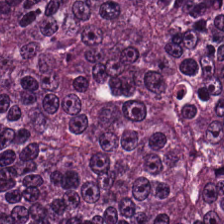20× equivalent magnification; H&E. Tissue class — colorectal adenocarcinoma epithelium.
